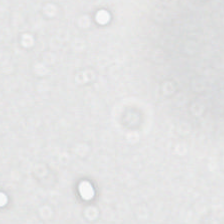Stain: H&E stain.
Resolution: 0.5 µm/px.
Content: empty background.
